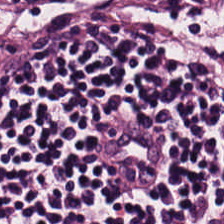Hematoxylin and eosin. Q: What is shown here?
A: Lymphocytic infiltrate.
